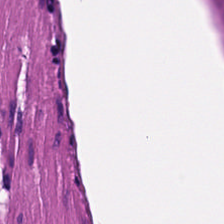WSI patch · 224×224 pixel tile · H&E stain. Q: What is shown here?
A: Smooth-muscle tissue.
